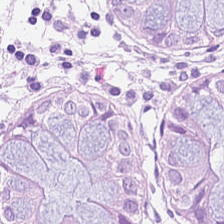Stain: hematoxylin-and-eosin stained section.
Tile size: 224×224 px patch.
Tissue: non-neoplastic colon mucosa.
